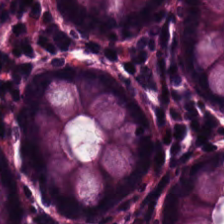Tissue type — normal colonic mucosa.
